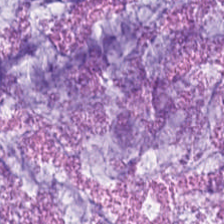Stain: H&E stain.
Tile size: 224×224 pixel tile.
Resolution: 20× equivalent magnification.
Tissue: extracellular mucin.
